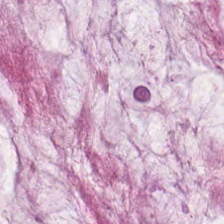224×224 pixel tile · H&E — Mucus.
